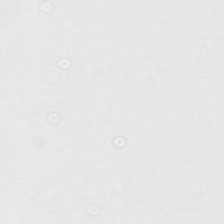Stain: hematoxylin-and-eosin stained section.
Classification: background.
